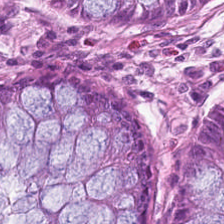Hematoxylin-and-eosin stained section — Q: What is the predominant tissue type?
A: This is non-neoplastic colon mucosa.
